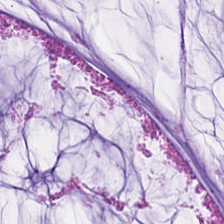This field is extracellular mucin.
